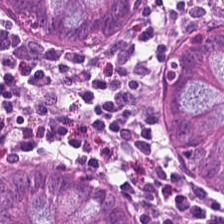WSI patch; hematoxylin and eosin.
Predominantly benign colonic mucosa.
